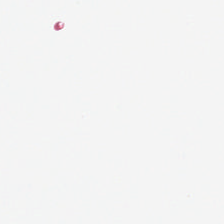Q: What does this patch show?
A: This is empty background.
